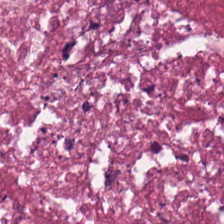Stain: hematoxylin-and-eosin stained section.
Tile size: 224×224 px patch.
Preparation: formalin-fixed paraffin-embedded section.
Tissue type: necrotic debris.
